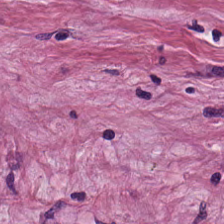Stain: H&E-stained tissue section.
Preparation: FFPE tissue section.
Resolution: 20× equivalent magnification.
Tissue class: desmoplastic stroma.
